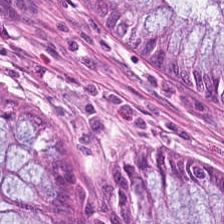H&E-stained tissue section · brightfield microscopy. Showing benign colonic mucosa.
